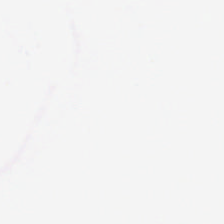H&E — Field content — no tissue.
